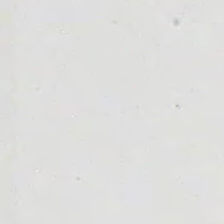Classification: no tissue.
